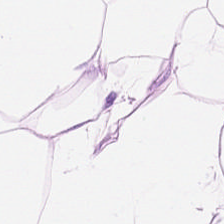0.5 microns per pixel; H&E stain.
Q: Identify the tissue.
A: It is fat tissue.
